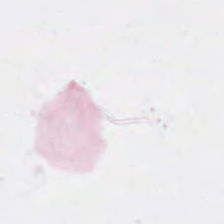Classification: empty background.
